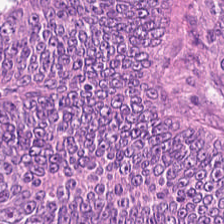Hematoxylin and eosin — The tissue here is adenocarcinoma.
